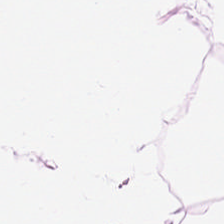Stain: H&E stain.
Tissue type: adipose tissue.
